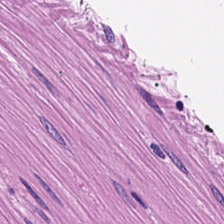H&E stain. The predominant tissue is muscularis.
